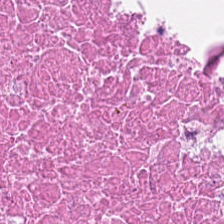224×224 pixel tile · H&E-stained tissue section.
Predominantly cellular debris.
